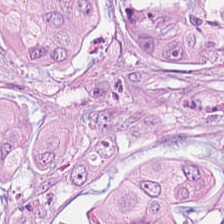H&E-stained tissue section — Malignant epithelium.
